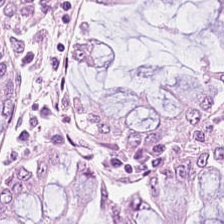0.5 microns per pixel. H&E stain. Showing normal colon mucosa.
